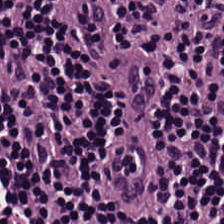Lymphoid infiltrate.
